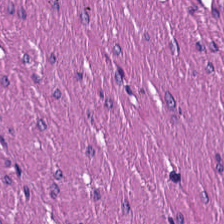H&E stain. 224×224 px tile — This field is muscularis.
